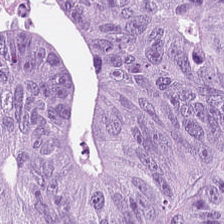Stain: H&E-stained tissue section.
Classification: colorectal adenocarcinoma.
